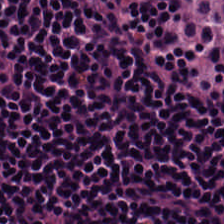H&E-stained section; the field shows lymphocytes.
